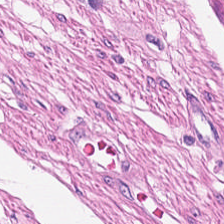Formalin-fixed paraffin-embedded section. 224×224 px patch. Hematoxylin and eosin. This field is smooth muscle.
